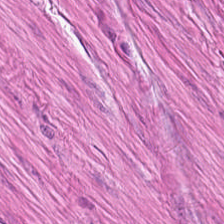FFPE · H&E-stained tissue section — The tissue here is muscularis.
